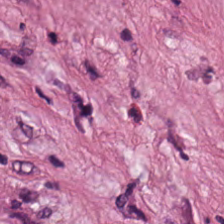H&E-stained tissue section. Predominant tissue = cancer-associated stroma.
